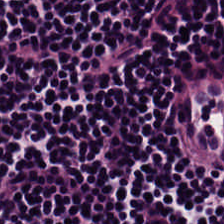H&E-stained tissue section. Tissue class = lymphocytes.
